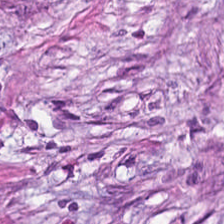0.5 µm/px; H&E.
This patch shows tumor-associated stroma.
